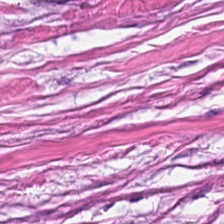Hematoxylin and eosin. The predominant tissue is cancer-associated stroma.
